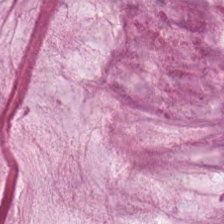224×224 px patch; H&E — Tissue class: mucin.
